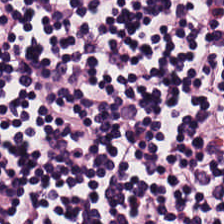Brightfield microscopy. H&E-stained tissue section — The predominant tissue is lymphocytic infiltrate.
